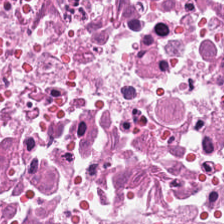H&E stain. The tissue here is cellular debris.
